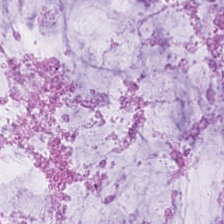Stain: hematoxylin and eosin.
Tissue: mucus.
